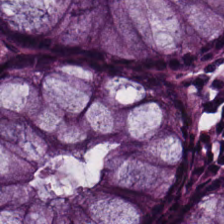H&E · 224×224 pixel tile — Finding → benign colonic mucosa.
